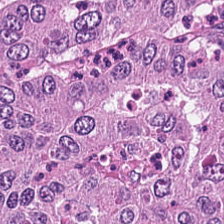Whole-slide-image patch. Hematoxylin and eosin — Histology — tumor epithelium.
